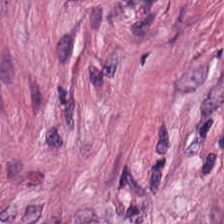H&E · brightfield — Classification — cancer-associated stroma.
